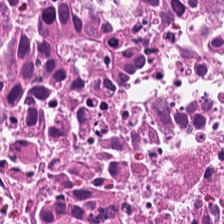Tissue type = debris.
